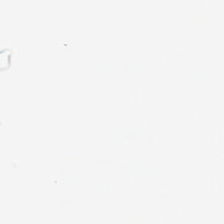H&E stain. Formalin-fixed paraffin-embedded section. 224×224 px tile — No tissue present; background only.
